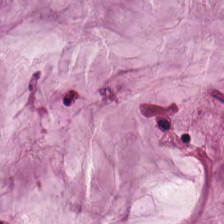Brightfield microscopy; H&E-stained tissue section — This patch shows mucus.
